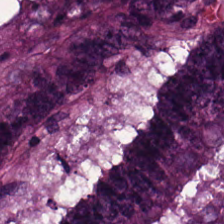H&E-stained tissue section. The predominant tissue is colorectal adenocarcinoma epithelium.
